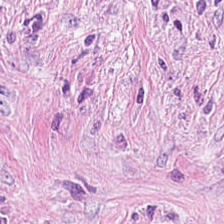H&E-stained tissue section · 0.5 µm per pixel. {"tissue_type": "cancer-associated stroma"}
